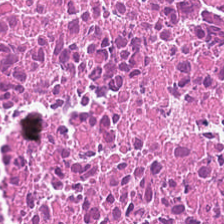H&E stain. Formalin-fixed paraffin-embedded section — Necrotic debris.
